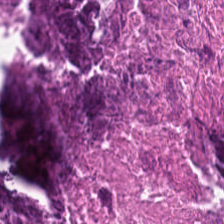H&E stain.
This field is necrotic debris.
